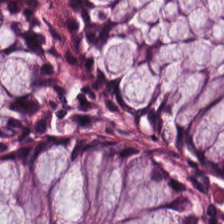H&E — The tissue here is normal colonic mucosa.
